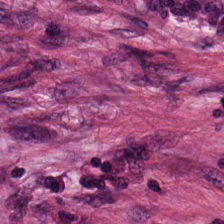Stain: hematoxylin-and-eosin stained section.
Classification: cancer-associated stroma.
